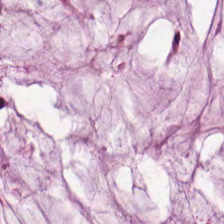Hematoxylin and eosin · 0.5 µm/px.
The classification is extracellular mucin.
